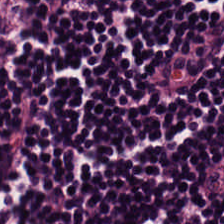H&E stain.
Predominantly lymphocytes.
